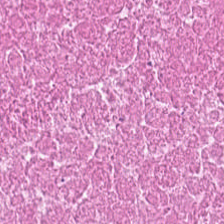Hematoxylin-and-eosin stained section. Q: What tissue is shown?
A: This is necrotic debris.
